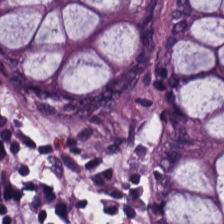H&E-stained tissue section · whole-slide-image patch — The predominant tissue is non-neoplastic colon mucosa.
